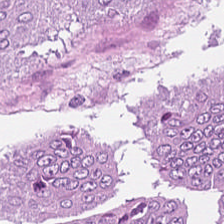0.5 microns per pixel · H&E · whole-slide-image patch — Tissue class — malignant epithelium.
